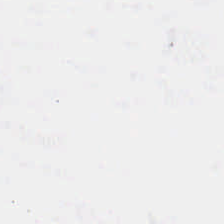Hematoxylin-and-eosin stained section · 224×224 pixel tile.
Q: Classify this patch.
A: No tissue.
